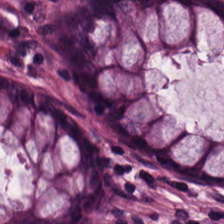0.5 µm per pixel. Formalin-fixed paraffin-embedded section. H&E.
Tissue — non-neoplastic colon mucosa.
